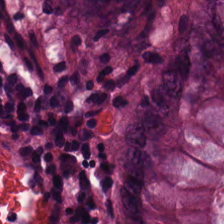Stain: H&E stain.
Resolution: 0.5 µm per pixel.
Tissue: normal colonic mucosa.
